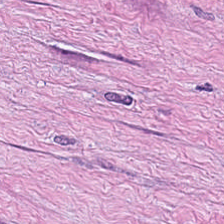Hematoxylin-and-eosin stained section — Tissue: cancer-associated stroma.
